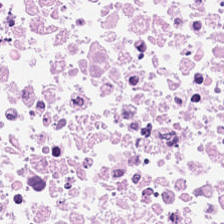Hematoxylin-and-eosin stained section. Tissue = necrotic debris.
